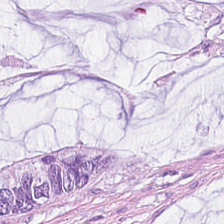H&E-stained tissue section showing extracellular mucin.
